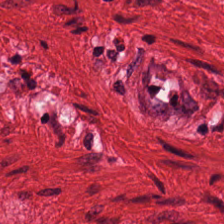H&E patch showing muscularis.
